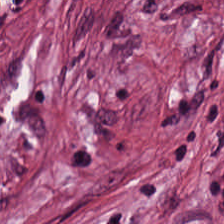Hematoxylin-and-eosin stained section — The tissue here is cancer-associated stroma.
